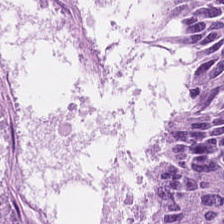Q: What does this patch show?
A: It is colorectal adenocarcinoma epithelium.
